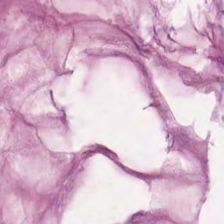H&E. Formalin-fixed paraffin-embedded section. This field is extracellular mucin.
